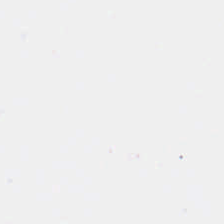H&E stain.
Q: Classify this patch.
A: This is no tissue.
